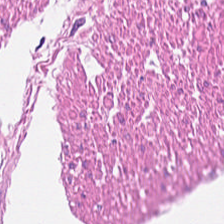Predominantly smooth-muscle tissue.
